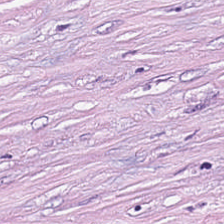Formalin-fixed paraffin-embedded section; hematoxylin and eosin — Showing desmoplastic stroma.
